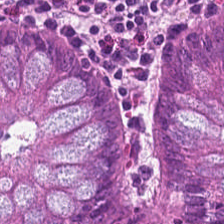H&E-stained tissue section.
Tissue: normal colonic mucosa.
